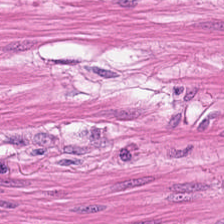H&E · 0.5 µm per pixel. This patch shows smooth-muscle tissue.
